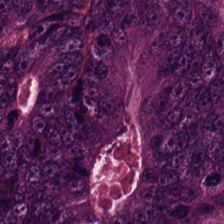H&E-stained tissue section. Q: Classify this patch.
A: Colorectal adenocarcinoma.
